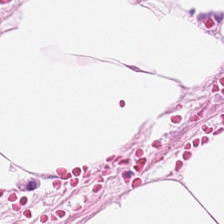WSI patch · hematoxylin and eosin · formalin-fixed paraffin-embedded section — Tissue type: adipose tissue.
